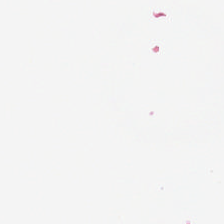Whole-slide-image patch; hematoxylin and eosin — Finding → no tissue.
